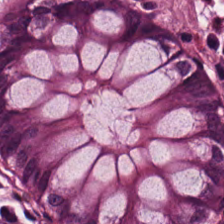H&E — The predominant tissue is normal colonic mucosa.
